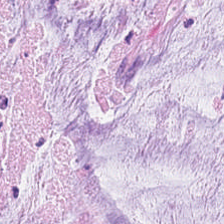H&E-stained tissue section. {"tissue_type": "mucin"}
